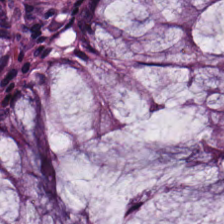H&E patch showing normal colon mucosa.
